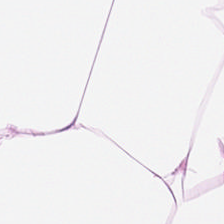Formalin-fixed paraffin-embedded section. Brightfield. H&E stain.
Adipocytes.
